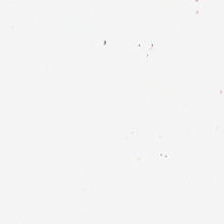Empty field — empty background.
